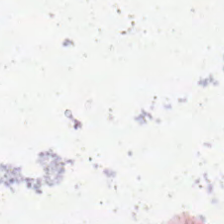No tissue present; background only.
